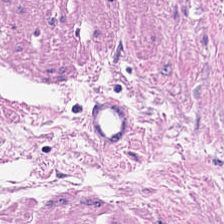Stain: H&E-stained tissue section.
Tile size: 224×224 pixel tile.
Tissue: smooth-muscle tissue.
